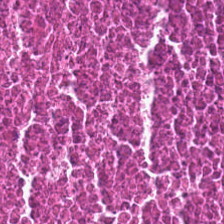Hematoxylin and eosin.
{"tissue_type": "necrotic debris"}
